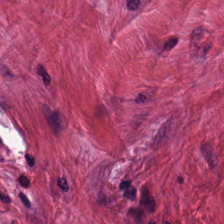H&E stain. Classification = cancer-associated stroma.
